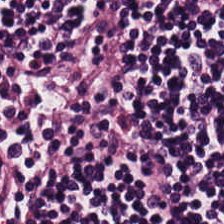Hematoxylin-and-eosin stained section — The predominant tissue is lymphoid infiltrate.
